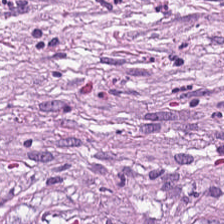H&E-stained tissue section showing desmoplastic stroma.
